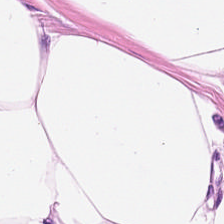H&E · 0.5 µm per pixel.
Q: Classify this patch.
A: Adipose.
